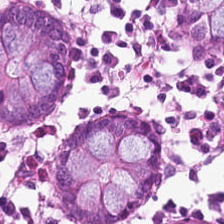Hematoxylin and eosin; 224×224 px patch. Normal colonic mucosa.
